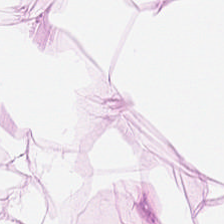Hematoxylin-and-eosin stained section. This patch shows adipose tissue.
